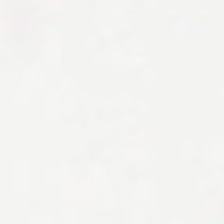WSI patch; hematoxylin-and-eosin stained section. Empty background.
